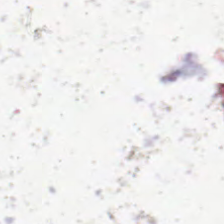H&E stain. 224×224 px patch.
Content — no tissue.
